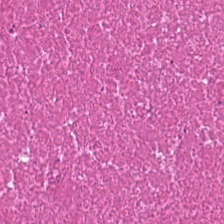Predominantly necrotic debris.
